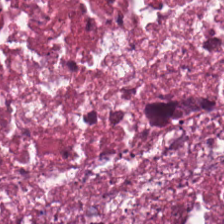Tissue type — cellular debris.
